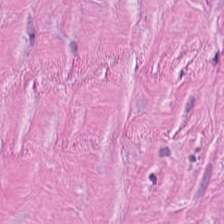Brightfield · H&E stain.
This patch shows cancer-associated stroma.
